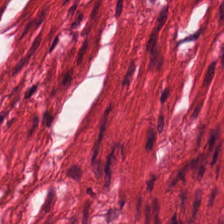H&E; WSI patch; 224×224 pixel tile. This patch shows smooth muscle.
